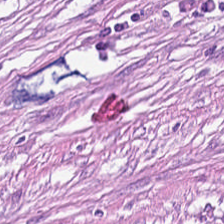Predominant tissue = cancer-associated stroma.
